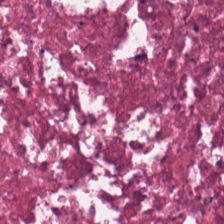Q: Identify the tissue.
A: It is necrotic debris.
